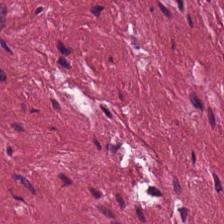Hematoxylin-and-eosin stained section. The predominant tissue is tumor stroma.
